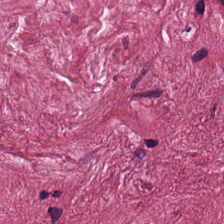Stain: H&E stain.
Tissue type: tumor stroma.
